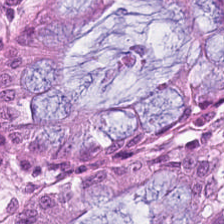FFPE. H&E-stained tissue section — Predominantly normal colonic mucosa.
